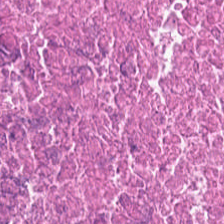H&E-stained tissue section. Finding — cellular debris.
